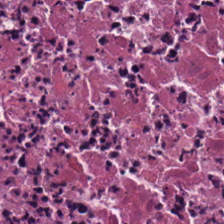H&E-stained tissue section. 0.5 µm/px. 224×224 px tile — Q: What tissue type is shown here?
A: This is cellular debris.
